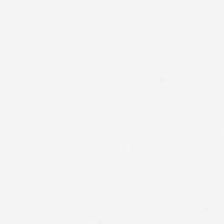No tissue present; background only.
